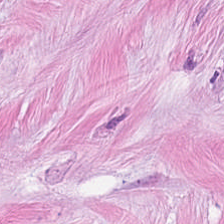Stain: H&E.
Resolution: 0.5 µm/px.
Acquisition: WSI patch.
Predominant tissue: cancer-associated stroma.
